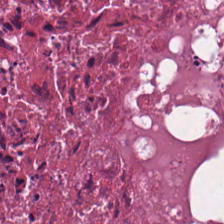Formalin-fixed paraffin-embedded section · H&E stain — Debris.
